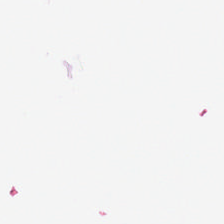Q: What is shown in this field?
A: Background.
